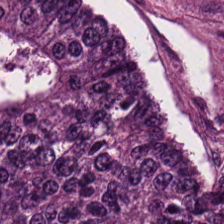Hematoxylin-and-eosin stained section.
Q: What is shown here?
A: It is colorectal adenocarcinoma epithelium.
